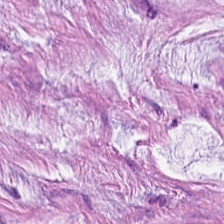Stain: H&E stain.
Acquisition: brightfield.
Classification: mucin.
